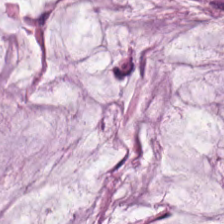H&E. This field is mucin.
